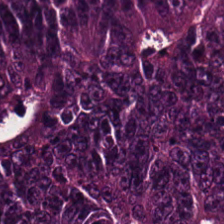Stain: H&E-stained tissue section.
Classification: colorectal adenocarcinoma.
